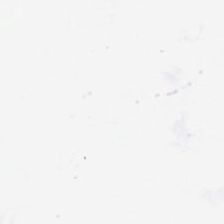WSI patch; FFPE tissue section; H&E-stained tissue section.
Background (no tissue).
